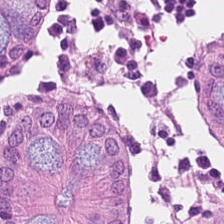Hematoxylin and eosin. Showing normal colonic mucosa.
